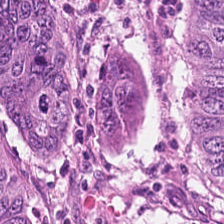Tissue class — adenocarcinoma.
